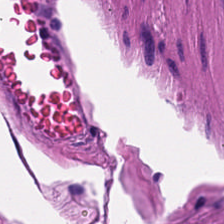H&E. Tissue class: muscularis.
